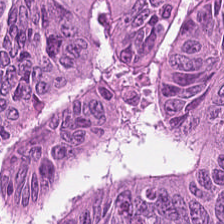H&E.
The predominant tissue is colorectal adenocarcinoma.
